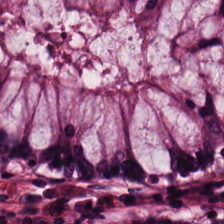H&E stain.
Predominant tissue = non-neoplastic colon mucosa.
